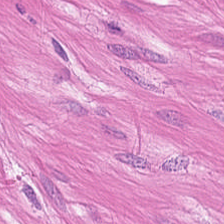Tissue type: smooth muscle.
